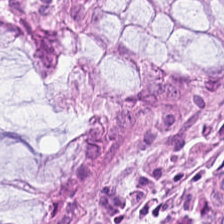Stain: H&E-stained tissue section.
Preparation: FFPE tissue section.
Resolution: 0.5 microns per pixel.
Predominant tissue: non-neoplastic colon mucosa.
